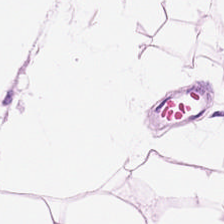Hematoxylin-and-eosin stained section; brightfield — Fat tissue.
